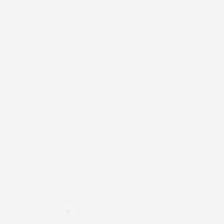Hematoxylin-and-eosin stained section · brightfield · 224×224 px patch. No tissue present; background only.
